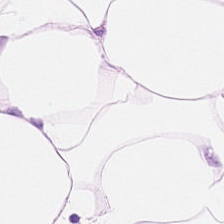H&E-stained tissue section.
Q: Identify the tissue.
A: Fat tissue.
